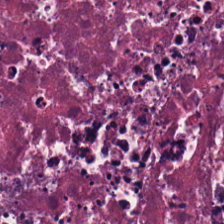This field is debris.
